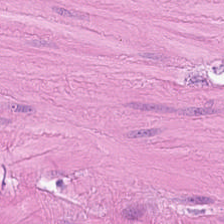This field is muscularis.
